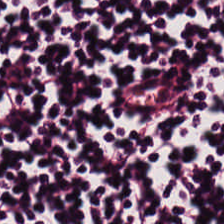Hematoxylin and eosin — Impression — lymphocyte aggregate.
